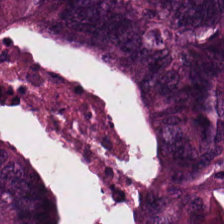H&E — Histology — adenocarcinoma.
